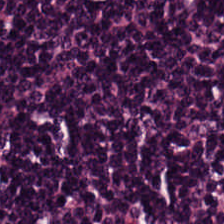H&E stain · FFPE tissue section.
The predominant tissue is lymphoid infiltrate.
